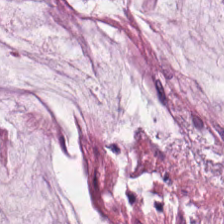Stain: hematoxylin and eosin.
Acquisition: brightfield microscopy.
Preparation: FFPE.
Tissue type: mucin.
